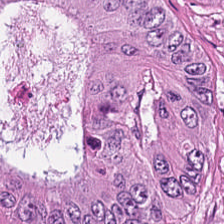Q: What tissue type is shown here?
A: It is adenocarcinoma.
